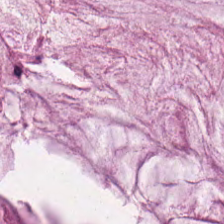Histology — mucin.
